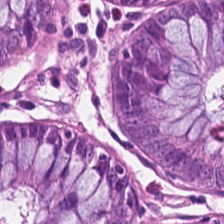Hematoxylin-and-eosin stained section.
Classification = non-neoplastic colon mucosa.
